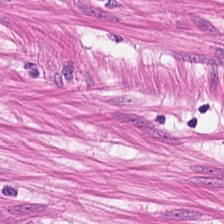H&E; brightfield microscopy; 224×224 px tile.
This field is smooth-muscle tissue.
